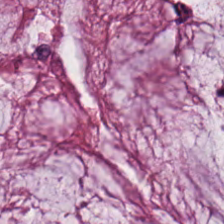Whole-slide-image patch; H&E; 224×224 pixel tile — Classification: extracellular mucin.
